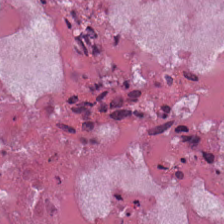H&E stain — Tissue type — cellular debris.
